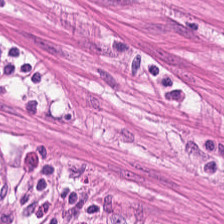H&E stain — Tissue class — muscularis.
